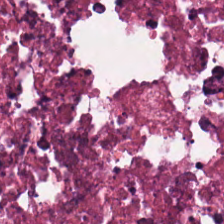The predominant tissue is cellular debris.
